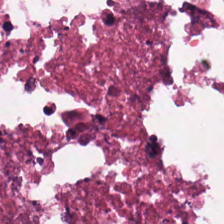Hematoxylin and eosin; brightfield — Q: Classify this patch.
A: The field shows debris.
